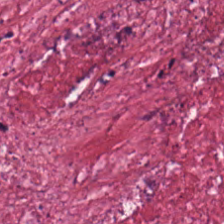{"tissue_type": "cancer-associated stroma"}
